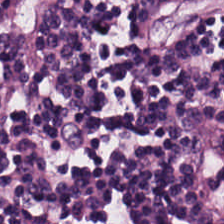Tissue class: lymphocyte aggregate.
